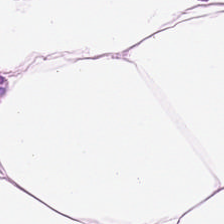Stain: H&E stain.
Resolution: 0.5 µm per pixel.
Preparation: formalin-fixed paraffin-embedded section.
Predominant tissue: adipocytes.
